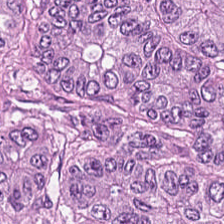Hematoxylin-and-eosin section: colorectal adenocarcinoma epithelium.
